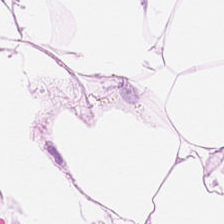Stain: H&E-stained tissue section.
Tissue type: adipose tissue.
